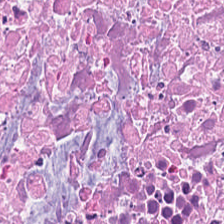H&E-stained section; the field shows necrotic debris.
